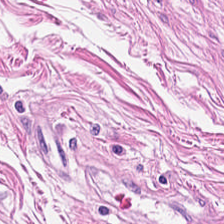Stain: hematoxylin-and-eosin stained section.
Predominant tissue: muscularis.
